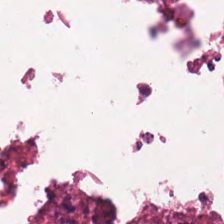0.5 µm per pixel. 224×224 pixel tile. H&E stain — Cellular debris.
